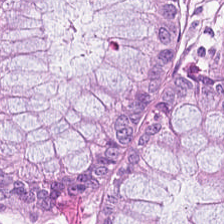224×224 px patch. Hematoxylin and eosin.
This field is normal colon mucosa.
